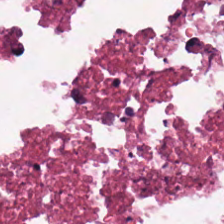Showing debris.
